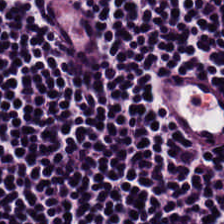Stain: hematoxylin-and-eosin stained section.
Tile size: 224×224 px tile.
Predominant tissue: lymphocytes.
